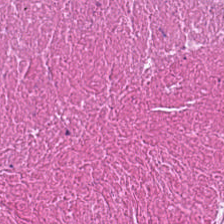FFPE; H&E-stained tissue section.
Tissue class — debris.
